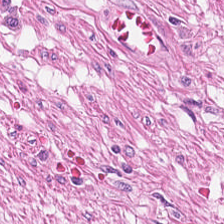Hematoxylin and eosin. 20× equivalent magnification. FFPE.
Showing smooth muscle.
